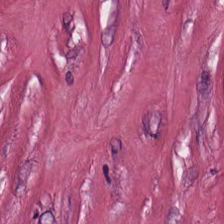H&E-stained tissue section showing desmoplastic stroma.
